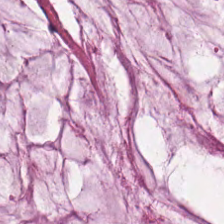H&E-stained tissue section.
This patch shows extracellular mucin.
